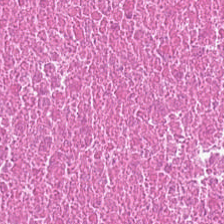The predominant tissue is necrotic debris.
